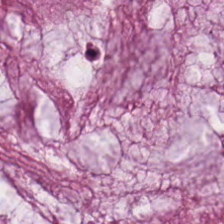H&E stain. Formalin-fixed paraffin-embedded section. 0.5 µm/px — This field is mucin.
